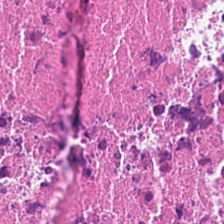H&E-stained section; the field shows debris.
